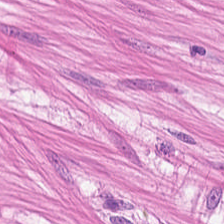FFPE; H&E; whole-slide-image patch — Finding — muscularis.
